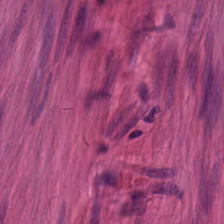0.5 µm per pixel · brightfield microscopy · hematoxylin-and-eosin stained section.
Q: What tissue is shown?
A: Muscularis.
